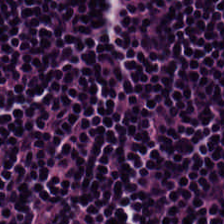This patch shows lymphocytic infiltrate.
